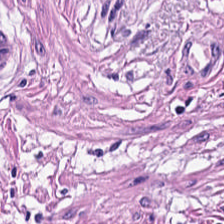WSI patch; H&E stain.
Finding — muscularis.
